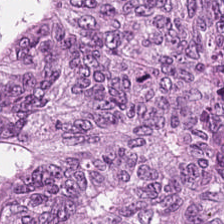{"tissue_type": "adenocarcinoma"}
